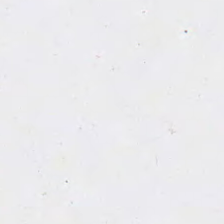No tissue present; background only.
